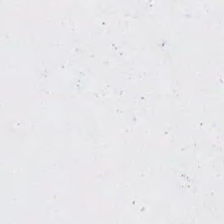Formalin-fixed paraffin-embedded section. H&E — Background — no tissue in this field.
